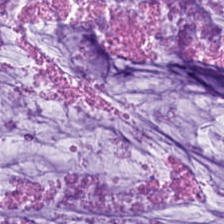Stain: H&E-stained tissue section.
Tissue type: mucus.
